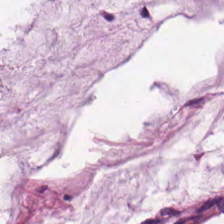FFPE tissue section. Hematoxylin-and-eosin stained section. 224×224 px tile.
The tissue here is extracellular mucin.
